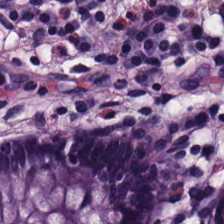H&E-stained tissue section. The tissue class is normal colonic mucosa.
